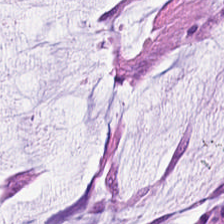Whole-slide-image patch. 224×224 pixel tile. H&E stain — Impression → mucin.
